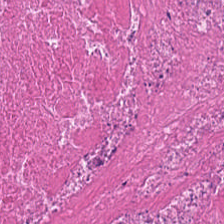224×224 pixel tile. H&E stain.
Predominantly debris.
